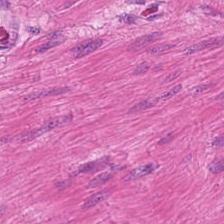H&E-stained tissue section.
The classification is smooth-muscle tissue.
